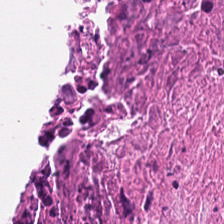Classification — cellular debris.
